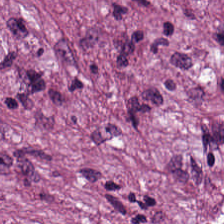Hematoxylin-and-eosin stained section · 224×224 px patch — Impression → tumor-associated stroma.
